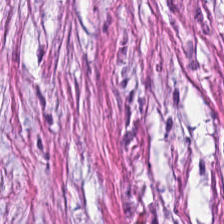Q: What tissue type is shown here?
A: The field shows tumor-associated stroma.
